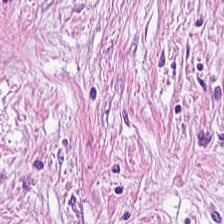H&E-stained tissue section showing cancer-associated stroma.
